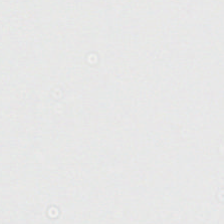FFPE tissue section; H&E-stained tissue section — Q: Classify this patch.
A: It is background (no tissue).
